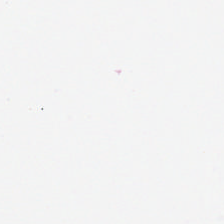FFPE tissue section; 0.5 µm per pixel; hematoxylin and eosin.
Content — no tissue.
